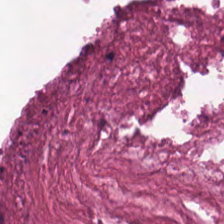Brightfield microscopy · H&E. This field is necrotic debris.
